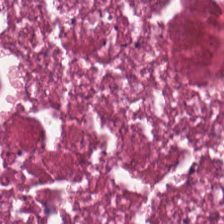Hematoxylin-and-eosin stained section · whole-slide-image patch — This field is debris.
